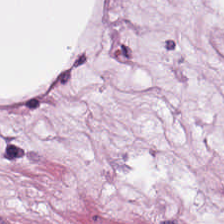Hematoxylin-and-eosin stained section. Tissue type = fat tissue.
